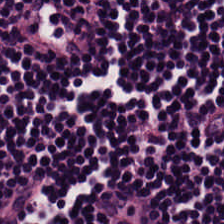Stain: H&E-stained tissue section.
Tissue type: lymphocytic infiltrate.
